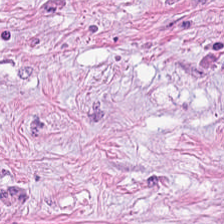H&E-stained tissue section. Predominantly desmoplastic stroma.
